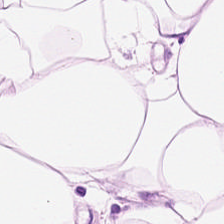Stain: hematoxylin and eosin.
Classification: fat tissue.
